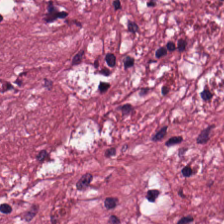H&E-stained tissue section.
This field is tumor stroma.
